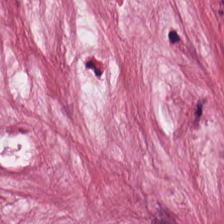Finding — tumor stroma.
